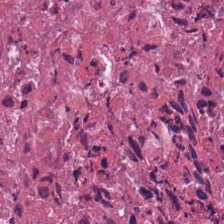This field is necrotic debris.
